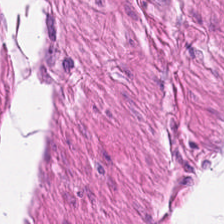Hematoxylin-and-eosin stained section; brightfield microscopy; 0.5 µm/px.
This patch shows smooth-muscle tissue.
